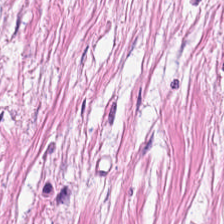H&E patch showing desmoplastic stroma.
